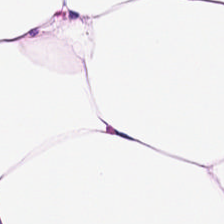H&E stain · 224×224 pixel tile.
Classification = adipose tissue.
